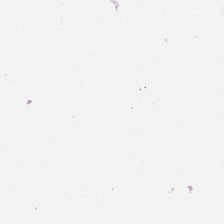Histology → background.
